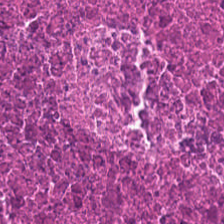224×224 pixel tile. Hematoxylin-and-eosin stained section.
This patch shows necrotic debris.
